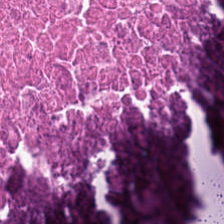H&E-stained tissue section; 20× equivalent magnification.
Tissue type = cellular debris.
